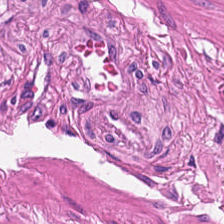H&E stain. Q: What is shown here?
A: Smooth muscle.
